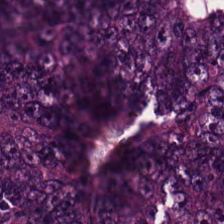H&E stain · whole-slide-image patch. Q: What is shown in this field?
A: Adenocarcinoma.
